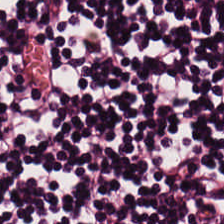FFPE tissue section; H&E stain; brightfield.
This patch shows lymphoid infiltrate.
